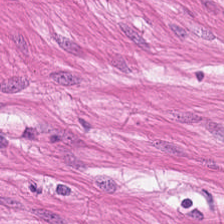Formalin-fixed paraffin-embedded section; hematoxylin and eosin. This field is muscularis.
